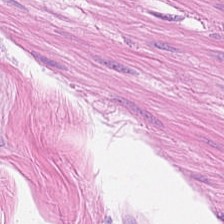H&E — This patch shows muscularis.
